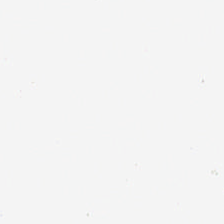Hematoxylin and eosin. Impression → no tissue.
